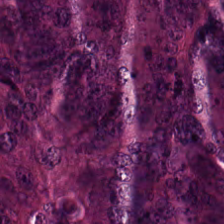Formalin-fixed paraffin-embedded section · 20× equivalent magnification · H&E-stained tissue section.
This patch shows adenocarcinoma.
